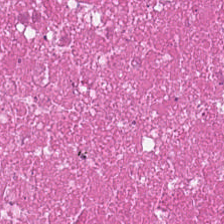H&E stain; brightfield — Q: What is shown here?
A: This is debris.
